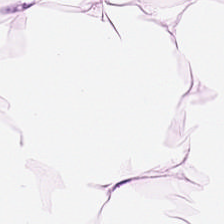H&E-stained tissue section; brightfield.
The tissue here is adipocytes.
